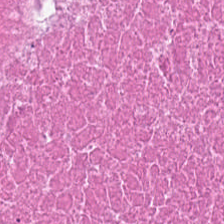Histology — debris.
